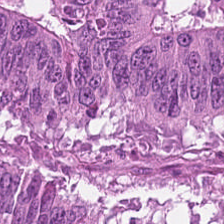Q: What does this patch show?
A: The field shows tumor epithelium.
